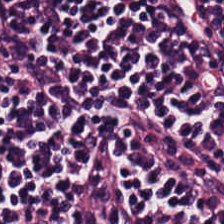H&E stain.
{"tissue_type": "lymphocyte aggregate"}
